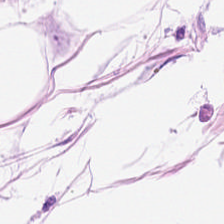Hematoxylin-and-eosin stained section.
Predominant tissue — adipocytes.
